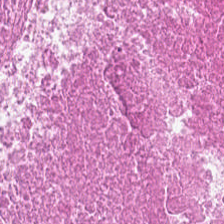{"tissue_type": "necrotic debris"}
